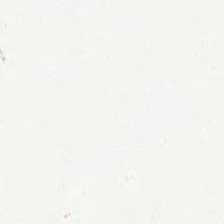Hematoxylin and eosin · FFPE tissue section. This patch shows empty background.
